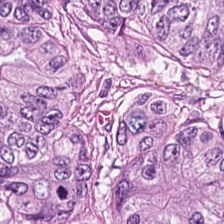Hematoxylin and eosin — Adenocarcinoma.
